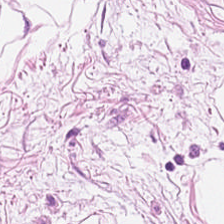H&E stain — Q: What is shown in this field?
A: It is adipocytes.
